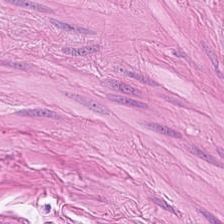Brightfield microscopy · 224×224 px patch · H&E stain.
Predominant tissue — smooth muscle.
